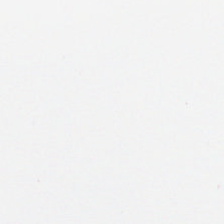Stain: H&E-stained tissue section.
Acquisition: brightfield microscopy.
Content: background.
